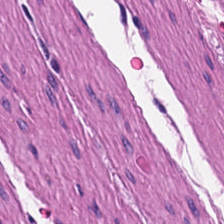Hematoxylin-and-eosin stained section. This patch shows smooth muscle.
